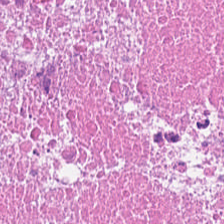Hematoxylin-and-eosin stained section — Tissue type: cellular debris.
